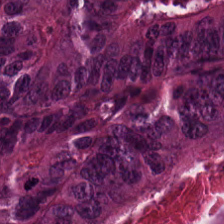H&E stain.
The tissue class is adenocarcinoma.
